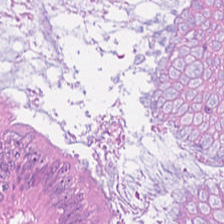H&E. Histology → adenocarcinoma.
